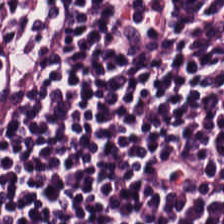Impression → lymphocytic infiltrate.
